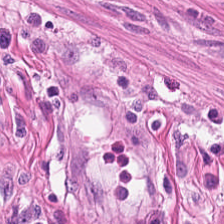Hematoxylin-and-eosin stained section. 224×224 pixel tile. Impression → smooth-muscle tissue.
